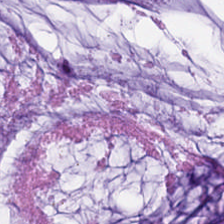0.5 microns per pixel; H&E-stained tissue section; FFPE tissue section.
Mucin.
